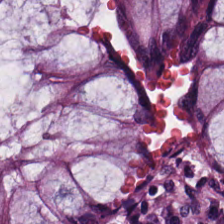224×224 px patch; hematoxylin and eosin; 0.5 µm/px.
The predominant tissue is benign colonic mucosa.
